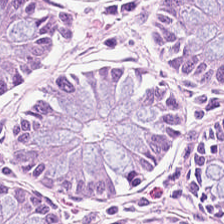Classification — normal colon mucosa.
